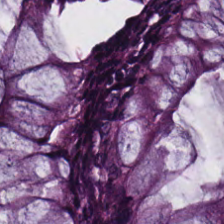Classification — non-neoplastic colon mucosa.
